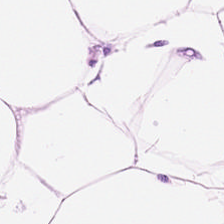Q: Identify the tissue.
A: Adipose.
